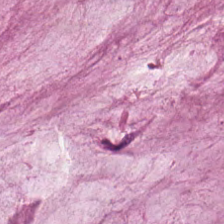Predominant tissue — mucus.
